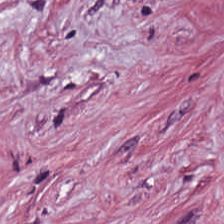H&E · whole-slide-image patch.
The classification is desmoplastic stroma.
